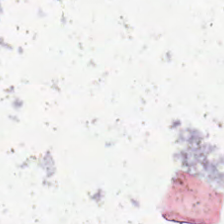The classification is background.
